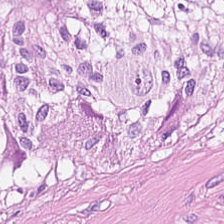Finding → muscularis.
